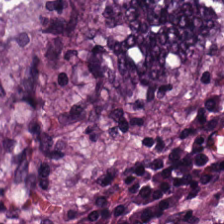H&E-stained tissue section showing colorectal adenocarcinoma epithelium.
